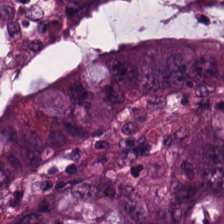Hematoxylin-and-eosin stained section — Q: What tissue is shown?
A: This is malignant epithelium.
